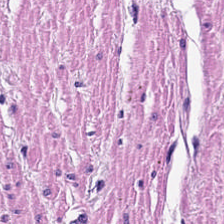FFPE. 0.5 µm/px. H&E-stained tissue section.
Predominant tissue: muscularis.
